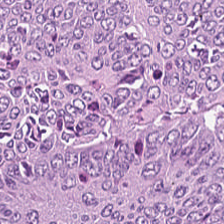H&E.
Predominant tissue: tumor epithelium.
